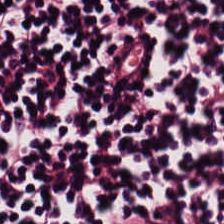0.5 µm per pixel. Hematoxylin-and-eosin stained section — Histology — lymphocyte aggregate.
